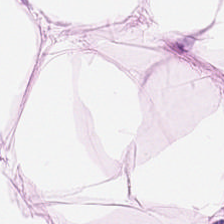Whole-slide-image patch. Hematoxylin and eosin. Predominantly adipose.
